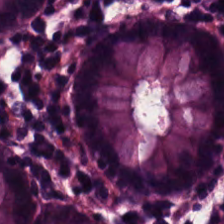H&E stain. Tissue = normal colon mucosa.
